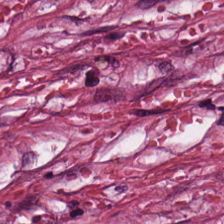H&E. {"tissue_type": "tumor-associated stroma"}
